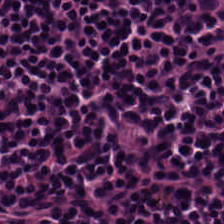Stain: H&E stain.
Tissue class: lymphocytes.
